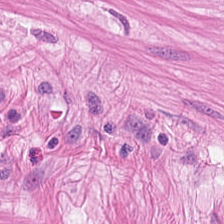H&E. Tissue — muscularis.
